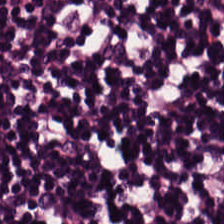Q: What tissue is shown?
A: The field shows lymphoid infiltrate.
